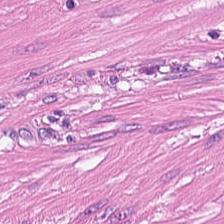Stain: hematoxylin-and-eosin stained section.
Resolution: 0.5 µm per pixel.
Predominant tissue: muscularis.
